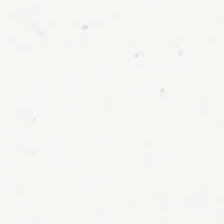0.5 µm/px. H&E-stained tissue section. 224×224 pixel tile — Content: background (no tissue).
